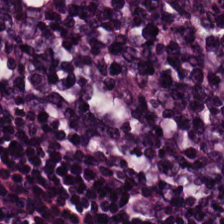H&E. FFPE — Q: What is the predominant tissue type?
A: This is lymphoid infiltrate.
